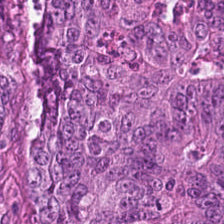Hematoxylin-and-eosin stained section.
The predominant tissue is colorectal adenocarcinoma epithelium.
